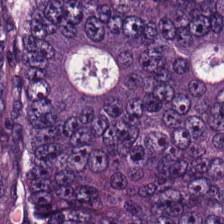Tissue = tumor epithelium.
